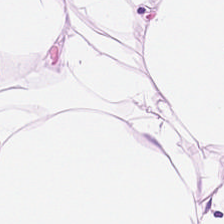224×224 px patch; hematoxylin-and-eosin stained section. Predominant tissue — adipose.
